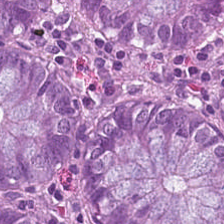WSI patch · H&E · FFPE tissue section.
Normal colonic mucosa.
